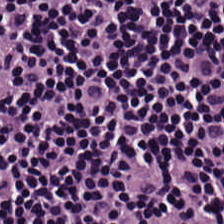FFPE tissue section. Hematoxylin and eosin.
The tissue class is lymphoid infiltrate.
